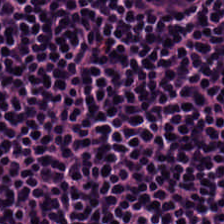Hematoxylin and eosin. {"tissue_type": "lymphocytes"}
